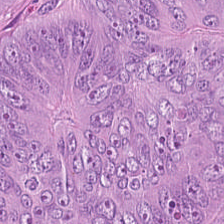H&E stain.
Impression — malignant epithelium.
